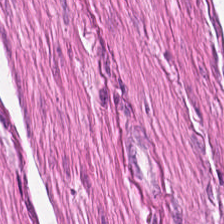Tissue type: smooth-muscle tissue.
